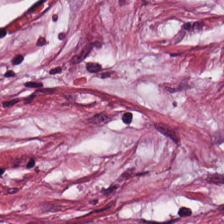Stain: hematoxylin-and-eosin stained section.
Tissue class: desmoplastic stroma.
